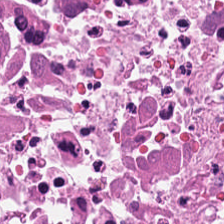224×224 pixel tile. WSI patch. Hematoxylin and eosin — Q: What tissue type is shown here?
A: This is necrotic debris.
